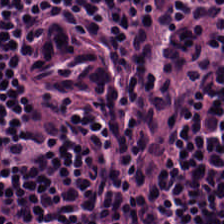0.5 µm per pixel; H&E stain. Q: What type of tissue is this?
A: The field shows lymphocyte aggregate.
